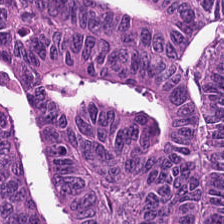0.5 µm/px; hematoxylin-and-eosin stained section — Q: What does this patch show?
A: It is malignant epithelium.
